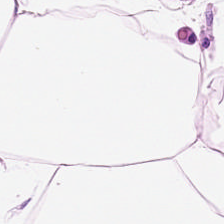Hematoxylin-and-eosin stained section. This patch shows adipose.
